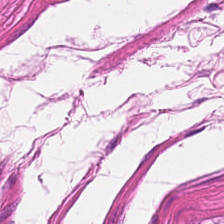H&E-stained tissue section.
Predominantly smooth-muscle tissue.
